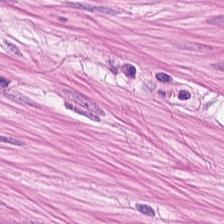Hematoxylin-and-eosin stained section. 224×224 pixel tile. Formalin-fixed paraffin-embedded section — Tissue type = muscularis.
